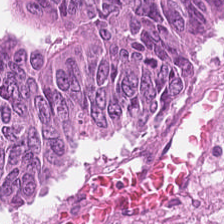0.5 µm per pixel. H&E — {"tissue_type": "malignant epithelium"}
